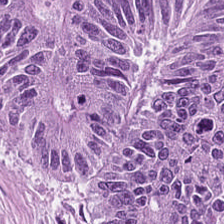Finding — colorectal adenocarcinoma epithelium.
